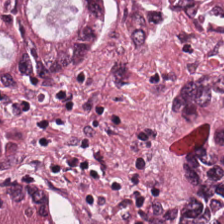Hematoxylin and eosin. The tissue here is adenocarcinoma.
